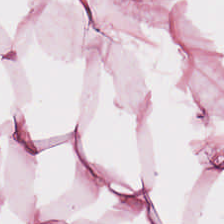Hematoxylin-and-eosin stained section; formalin-fixed paraffin-embedded section; WSI patch — Predominantly adipocytes.
